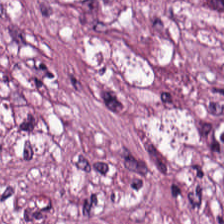FFPE tissue section. 20× equivalent magnification. H&E-stained tissue section — Histology → cancer-associated stroma.
